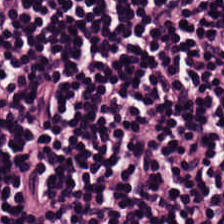H&E-stained tissue section · 20× equivalent magnification. Impression — lymphoid infiltrate.
